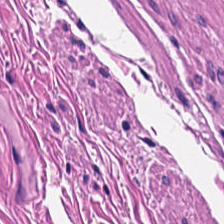Hematoxylin and eosin. Showing smooth-muscle tissue.
